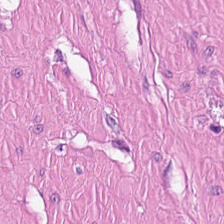0.5 microns per pixel; H&E stain. Tissue — smooth muscle.
